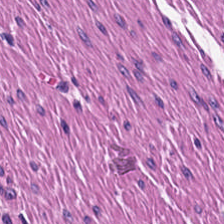H&E.
The tissue is smooth muscle.
